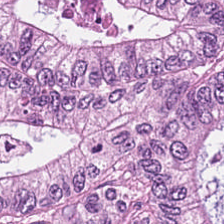Q: What tissue type is shown here?
A: Adenocarcinoma.
